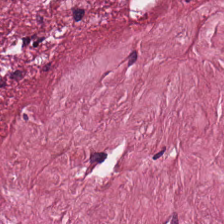H&E stain. Formalin-fixed paraffin-embedded section — This patch shows cancer-associated stroma.
